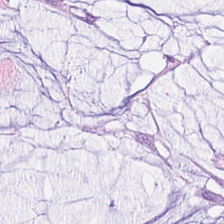H&E patch showing mucus.
